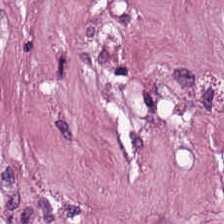Predominant tissue = desmoplastic stroma.
